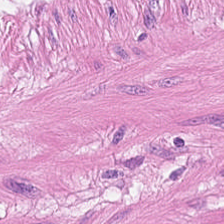Formalin-fixed paraffin-embedded section · hematoxylin-and-eosin stained section — Q: What is shown in this field?
A: This is muscularis.
